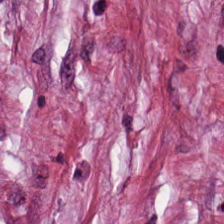Hematoxylin-and-eosin stained section — This field is desmoplastic stroma.
